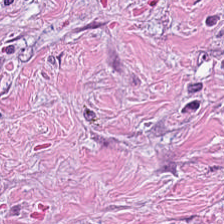Hematoxylin-and-eosin stained section. Formalin-fixed paraffin-embedded section.
This patch shows desmoplastic stroma.
